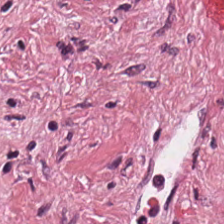WSI patch. Formalin-fixed paraffin-embedded section. H&E-stained tissue section. The tissue here is desmoplastic stroma.
